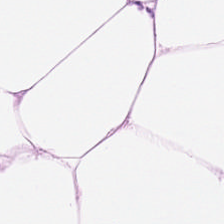Hematoxylin-and-eosin section: fat tissue.
